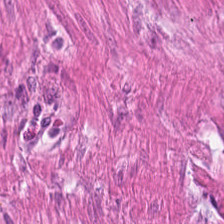This field is smooth muscle.
